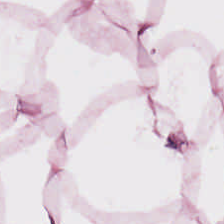Formalin-fixed paraffin-embedded section; whole-slide-image patch; H&E. Fat tissue.
